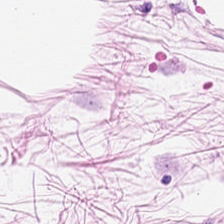{"tissue_type": "adipocytes"}
